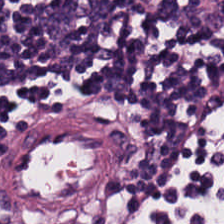Stain: hematoxylin and eosin.
Resolution: 0.5 microns per pixel.
Classification: lymphocyte aggregate.
